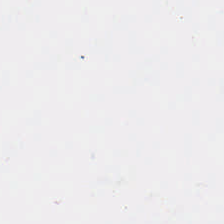H&E-stained tissue section — Q: What does this patch show?
A: This is no tissue.
